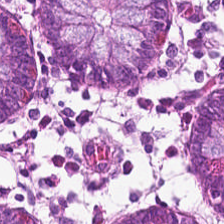H&E. 0.5 µm/px. Brightfield.
Tissue: benign colonic mucosa.
